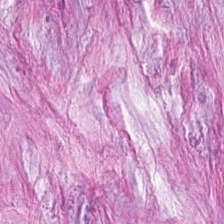Hematoxylin-and-eosin stained section. Histology → cancer-associated stroma.
